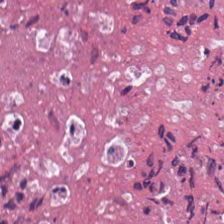Stain: H&E.
Acquisition: whole-slide-image patch.
Predominant tissue: cellular debris.
